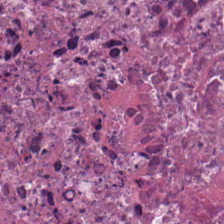H&E. 0.5 µm/px — Tissue — debris.
